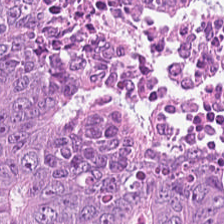H&E — adenocarcinoma.
